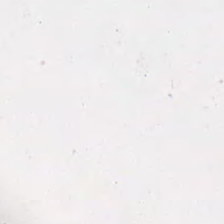224×224 px tile. Hematoxylin-and-eosin stained section — Background — no tissue in this field.
